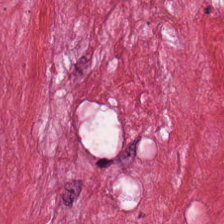Classification: tumor-associated stroma.
